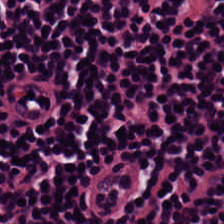H&E-stained tissue section — Impression — lymphocyte aggregate.
